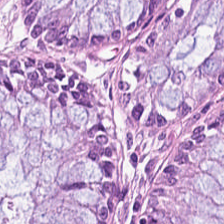H&E stain — Predominantly normal colon mucosa.
